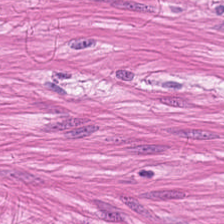224×224 px tile. H&E stain. Formalin-fixed paraffin-embedded section. Predominant tissue = muscularis.
